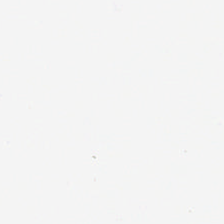H&E.
No tissue present; background only.
